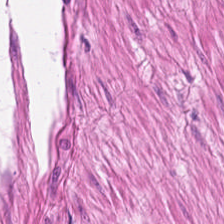Brightfield. Hematoxylin-and-eosin stained section. FFPE — This patch shows muscularis.
